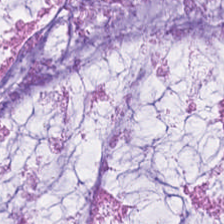Classification: mucin.
